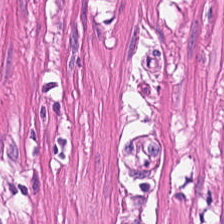Q: What is shown here?
A: It is muscularis.
